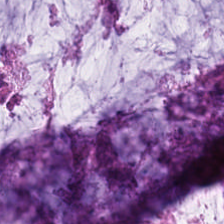Hematoxylin-and-eosin stained section.
Q: Classify this patch.
A: This is mucin.
